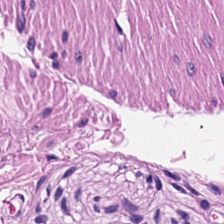Q: What is shown here?
A: This is smooth-muscle tissue.
